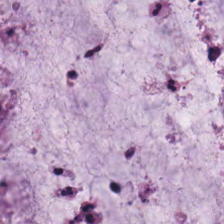Brightfield; H&E — Tissue type — mucus.
